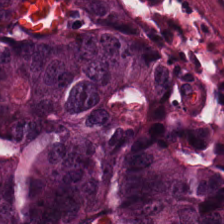H&E-stained tissue section — Tissue type: adenocarcinoma.
